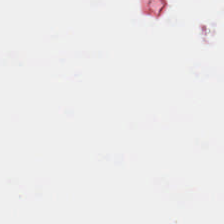Content: background (no tissue).
